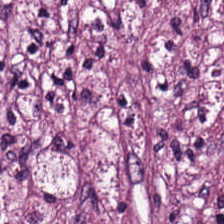Desmoplastic stroma.
